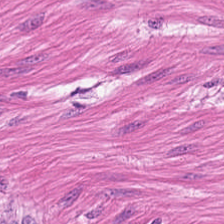Hematoxylin and eosin. FFPE tissue section.
The predominant tissue is muscularis.
